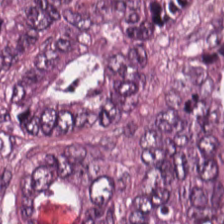H&E-stained tissue section. Whole-slide-image patch. Formalin-fixed paraffin-embedded section.
Tissue = malignant epithelium.
